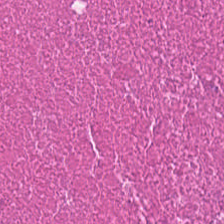Hematoxylin-and-eosin stained section · FFPE tissue section — Classification = cellular debris.
